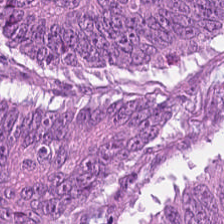Stain: H&E stain.
Tissue class: tumor epithelium.
